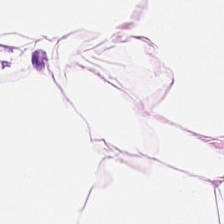Hematoxylin and eosin · brightfield microscopy · formalin-fixed paraffin-embedded section.
Predominantly adipose tissue.
